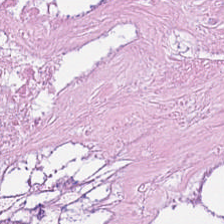Stain: H&E stain.
Resolution: 20× equivalent magnification.
Tissue class: debris.
